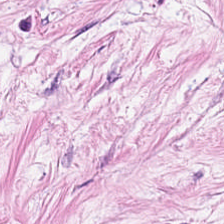H&E — Q: What is shown in this field?
A: The field shows desmoplastic stroma.
